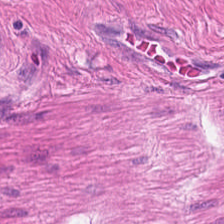H&E. 0.5 µm/px. Brightfield. Tissue type: smooth-muscle tissue.
